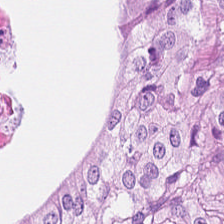Adenocarcinoma.
